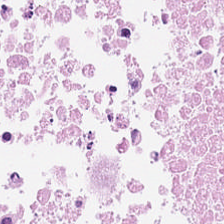The predominant tissue is necrotic debris.
